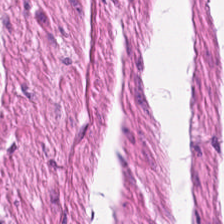Stain: H&E-stained tissue section.
Resolution: 20× equivalent magnification.
Preparation: FFPE.
Predominant tissue: smooth-muscle tissue.
